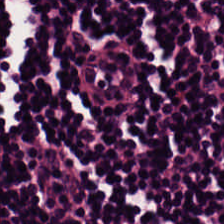H&E stain.
Classification — lymphocytic infiltrate.
